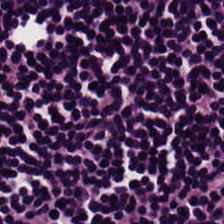H&E. Tissue type: lymphocytic infiltrate.
